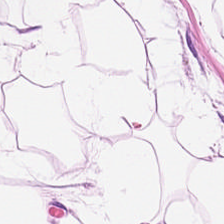WSI patch; hematoxylin-and-eosin stained section; formalin-fixed paraffin-embedded section. {"tissue_type": "adipocytes"}
